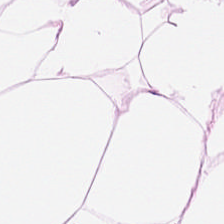H&E-stained tissue section.
Q: What is the predominant tissue type?
A: Adipocytes.
